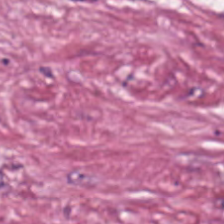Hematoxylin and eosin — Impression — cancer-associated stroma.
